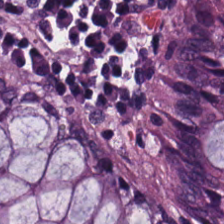Stain: hematoxylin-and-eosin stained section.
Tissue class: non-neoplastic colon mucosa.
